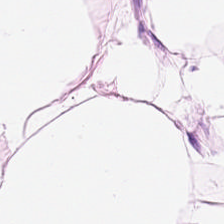Impression → fat tissue.
